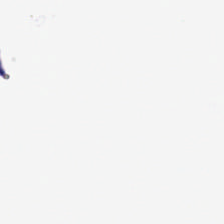Hematoxylin-and-eosin stained section. FFPE tissue section.
Empty background.
